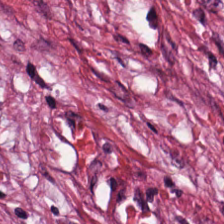Hematoxylin and eosin. Predominantly tumor-associated stroma.
